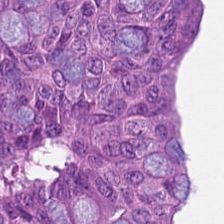H&E-stained tissue section — Predominantly malignant epithelium.
